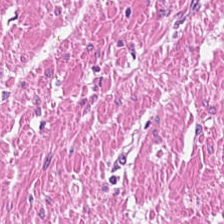Histology → smooth muscle.
